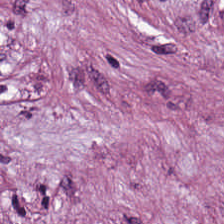H&E-stained tissue section; formalin-fixed paraffin-embedded section. This field is tumor-associated stroma.
